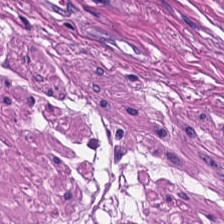Whole-slide-image patch · H&E-stained tissue section.
Predominantly smooth muscle.
